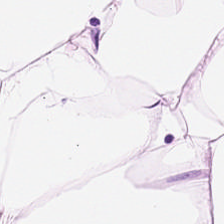Hematoxylin and eosin · WSI patch — This field is adipose.
